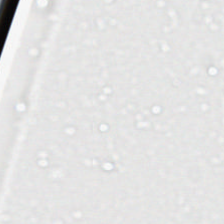H&E stain — Background — no tissue in this field.
